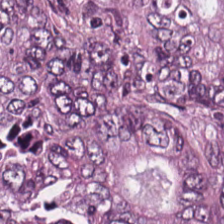WSI patch; 20× equivalent magnification; hematoxylin-and-eosin stained section.
The predominant tissue is tumor epithelium.
